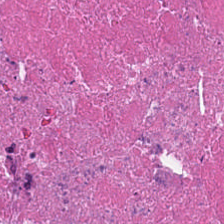H&E.
The tissue here is debris.
